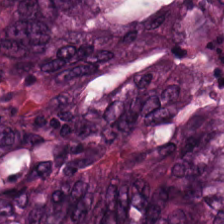Stain: H&E.
Tissue: malignant epithelium.
